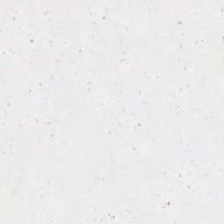224×224 pixel tile. Hematoxylin and eosin.
This patch shows no tissue.
